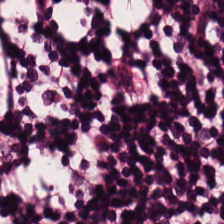Stain: hematoxylin and eosin.
Resolution: 20× equivalent magnification.
Tissue class: lymphoid infiltrate.
